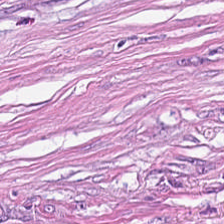H&E-stained tissue section. {"tissue_type": "cancer-associated stroma"}
